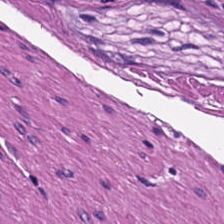H&E; FFPE; 0.5 microns per pixel — This field is smooth-muscle tissue.
